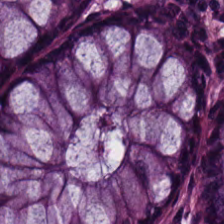H&E-stained tissue section · 224×224 px patch.
The tissue here is non-neoplastic colon mucosa.
